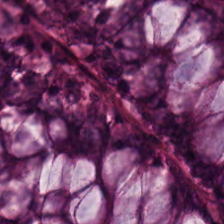H&E stain.
Q: What is shown in this field?
A: It is normal colonic mucosa.
